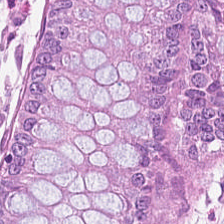H&E.
This patch shows normal colonic mucosa.
